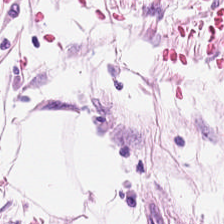Q: What tissue type is shown here?
A: It is fat tissue.
